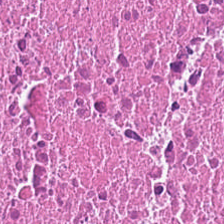Hematoxylin-and-eosin stained section — Q: Classify this patch.
A: It is cellular debris.
